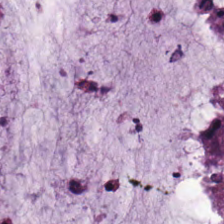Whole-slide-image patch. Formalin-fixed paraffin-embedded section. H&E-stained tissue section — Q: Identify the tissue.
A: The field shows mucus.
